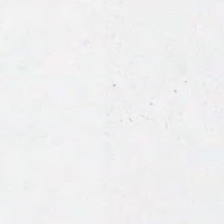H&E-stained tissue section. 224×224 px patch — Q: What is shown here?
A: It is background (no tissue).
